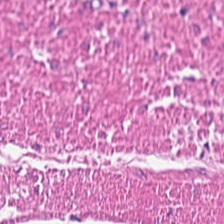Hematoxylin-and-eosin stained section. Q: Identify the tissue.
A: It is smooth muscle.
